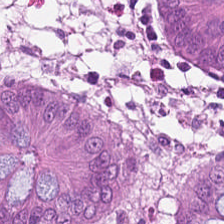Predominant tissue = normal colon mucosa.
